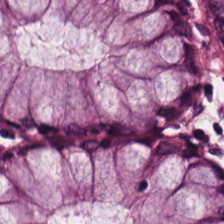Hematoxylin and eosin. Brightfield — The predominant tissue is normal colonic mucosa.
